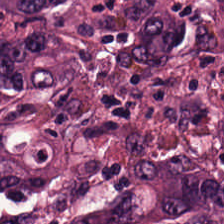H&E patch showing adenocarcinoma.
